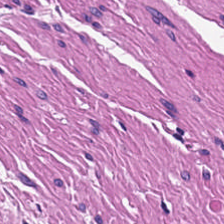Hematoxylin and eosin — Tissue = muscularis.
